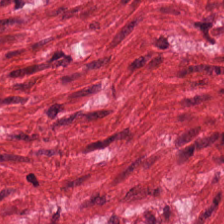H&E-stained tissue section · formalin-fixed paraffin-embedded section · brightfield microscopy. This patch shows smooth-muscle tissue.
